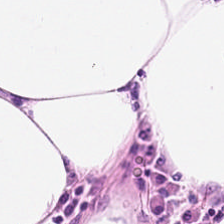H&E — Tissue type: adipose tissue.
